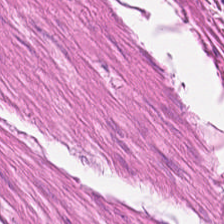Q: What does this patch show?
A: The field shows muscularis.
